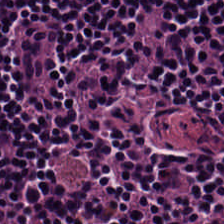Stain: H&E.
Resolution: 0.5 µm per pixel.
Tissue class: lymphoid infiltrate.
